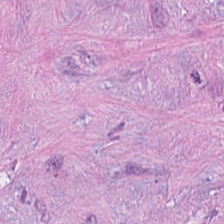H&E. The tissue is desmoplastic stroma.
